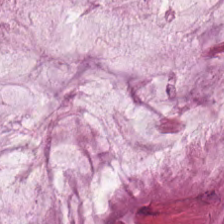Hematoxylin-and-eosin stained section · brightfield microscopy. Mucus.
